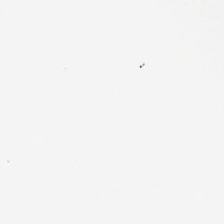H&E stain — Classification = no tissue.
